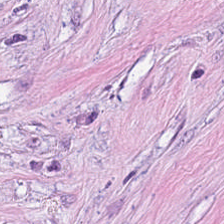H&E.
This field is cancer-associated stroma.
